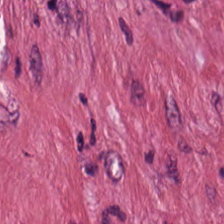H&E-stained tissue section.
Tissue class — desmoplastic stroma.
